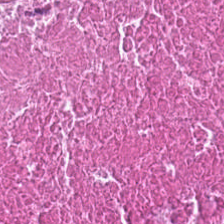Classification — debris.
